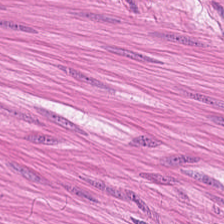H&E-stained tissue section. This patch shows smooth-muscle tissue.
